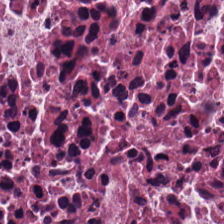Hematoxylin and eosin — {"tissue_type": "cellular debris"}
